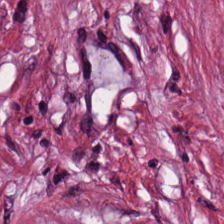0.5 µm per pixel · H&E · 224×224 px patch. Finding → desmoplastic stroma.
